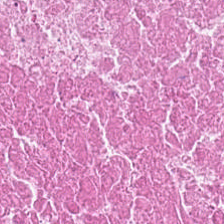Cellular debris.
